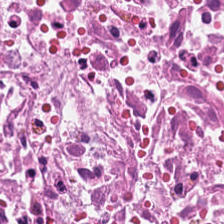H&E stain — Tissue — cellular debris.
